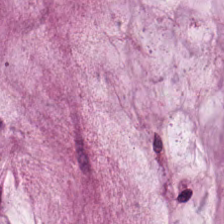Hematoxylin-and-eosin section: mucin.
